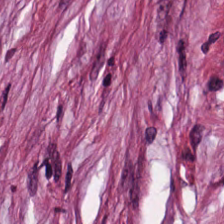The tissue type is tumor-associated stroma.
